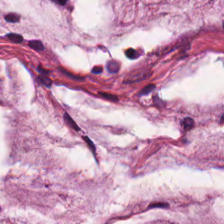H&E. 0.5 µm per pixel. FFPE.
Tissue class — mucus.
